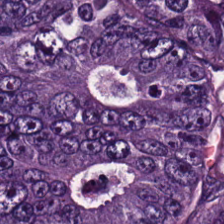224×224 px patch · H&E.
Predominant tissue: malignant epithelium.
